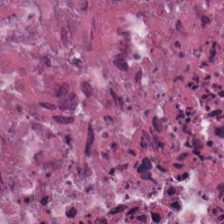Stain: H&E.
Tissue type: debris.
